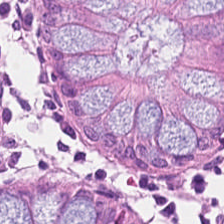Stain: hematoxylin-and-eosin stained section.
Tile size: 224×224 px patch.
Acquisition: WSI patch.
Tissue type: non-neoplastic colon mucosa.
